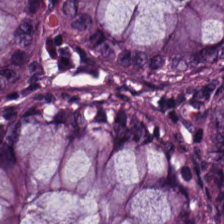H&E. Brightfield. Showing non-neoplastic colon mucosa.
